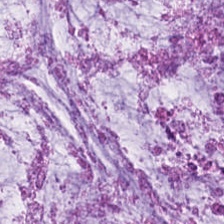Q: What type of tissue is this?
A: This is extracellular mucin.
